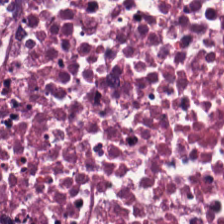Hematoxylin and eosin. Finding → cellular debris.
